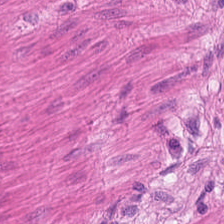H&E stain.
This field is smooth muscle.
